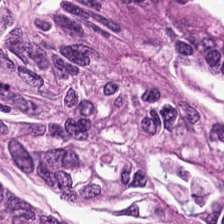H&E.
Finding → colorectal adenocarcinoma epithelium.
